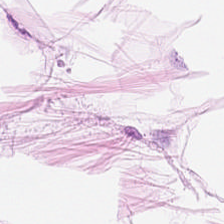FFPE tissue section; hematoxylin-and-eosin stained section; brightfield microscopy.
This field is adipose tissue.
